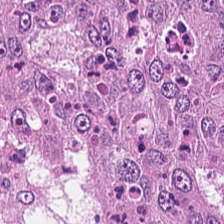H&E stain. The predominant tissue is malignant epithelium.
